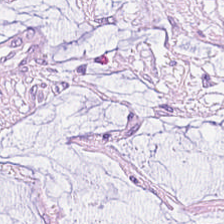H&E-stained tissue section. The tissue here is mucin.
